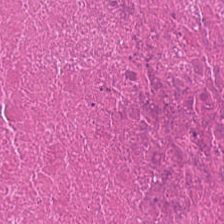224×224 pixel tile. Hematoxylin and eosin — This field is necrotic debris.
